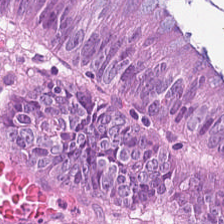H&E stain. Q: What tissue is shown?
A: Colorectal adenocarcinoma.
